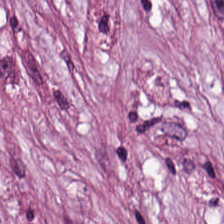Hematoxylin-and-eosin stained section — This patch shows cancer-associated stroma.
